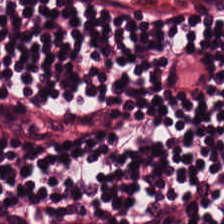H&E stain. Whole-slide-image patch. 224×224 pixel tile.
The tissue here is lymphoid infiltrate.
